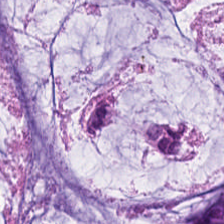H&E. Classification: mucin.
